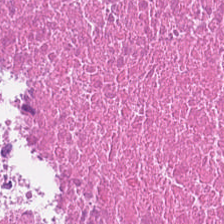Brightfield microscopy; H&E. Tissue class: debris.
